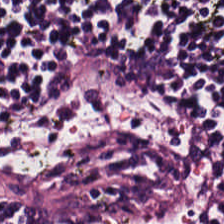0.5 µm per pixel; hematoxylin-and-eosin stained section.
The predominant tissue is lymphoid infiltrate.
